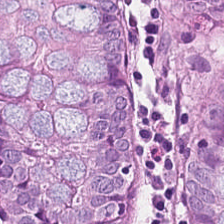FFPE; hematoxylin and eosin; 224×224 px patch — Showing normal colonic mucosa.
